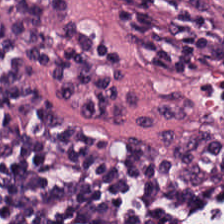H&E-stained tissue section. Tissue class — lymphocyte aggregate.
